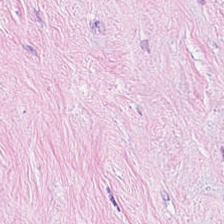Predominantly tumor stroma.
